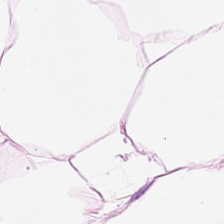224×224 px tile · H&E stain. Showing adipose tissue.
